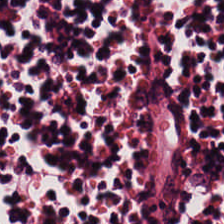H&E-stained tissue section — Showing lymphocytic infiltrate.
